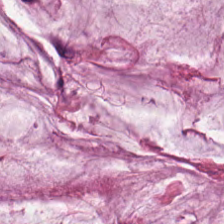H&E-stained tissue section · whole-slide-image patch · FFPE tissue section. Tissue class = extracellular mucin.
